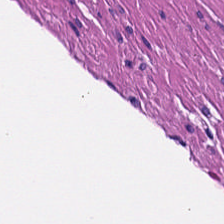Hematoxylin and eosin — This field is smooth muscle.
